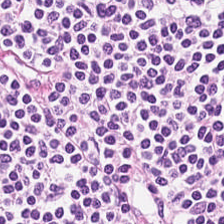H&E-stained tissue section — {"tissue_type": "lymphocyte aggregate"}
